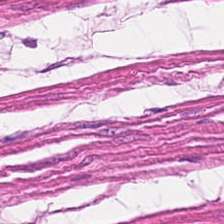The tissue is muscularis.
